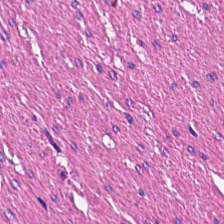H&E-stained tissue section. {"tissue_type": "muscularis"}
